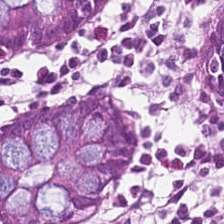Q: What tissue type is shown here?
A: This is normal colon mucosa.
